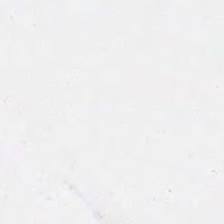Stain: H&E-stained tissue section.
Content: background (no tissue).
